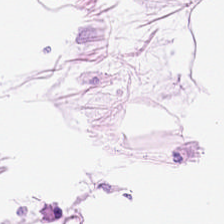Impression → adipocytes.
